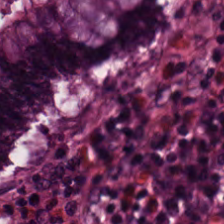Hematoxylin-and-eosin stained section — Predominantly non-neoplastic colon mucosa.
